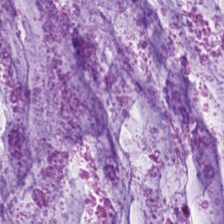Stain: H&E.
Tile size: 224×224 px patch.
Classification: mucus.
